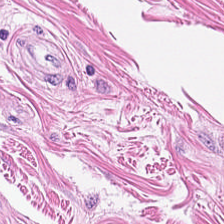Hematoxylin-and-eosin stained section — Predominantly smooth muscle.
